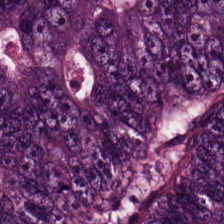The tissue here is malignant epithelium.
